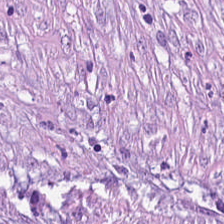H&E stain · brightfield microscopy · 224×224 px tile.
Histology — tumor-associated stroma.
